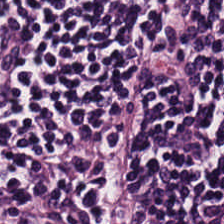This patch shows lymphocytic infiltrate.
